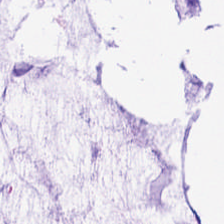Stain: H&E.
Resolution: 0.5 microns per pixel.
Tissue type: mucus.
